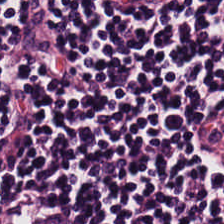Hematoxylin and eosin. The predominant tissue is lymphocytic infiltrate.
